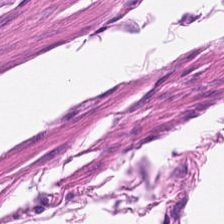Impression → muscularis.
